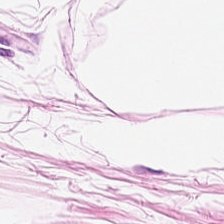Stain: hematoxylin and eosin.
Tissue: adipocytes.
